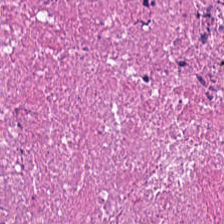H&E stain. 224×224 px patch. FFPE tissue section. This patch shows debris.
